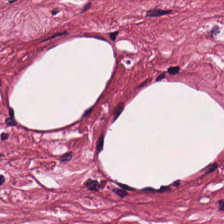Stain: H&E.
Acquisition: brightfield.
Resolution: 0.5 µm per pixel.
Predominant tissue: tumor-associated stroma.
